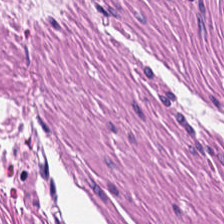Showing smooth-muscle tissue.
